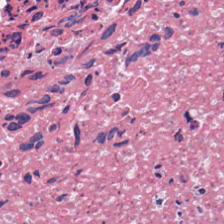Whole-slide-image patch; hematoxylin and eosin — This field is cellular debris.
